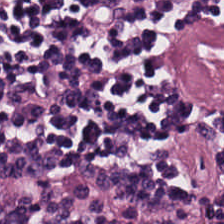H&E.
Classification = lymphocytic infiltrate.
